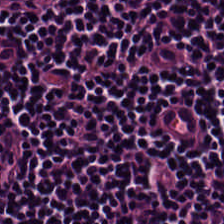0.5 microns per pixel; H&E stain — Predominant tissue = lymphocytes.
